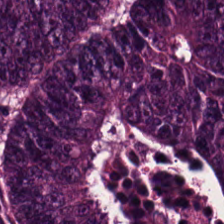This patch shows colorectal adenocarcinoma epithelium.
